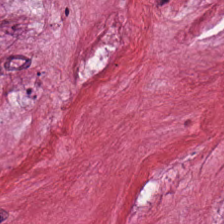224×224 px patch · WSI patch · H&E. Tissue type: desmoplastic stroma.
